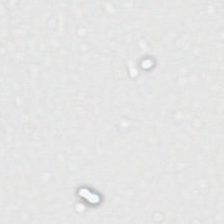Stain: hematoxylin and eosin.
Acquisition: brightfield microscopy.
Field content: empty background.
